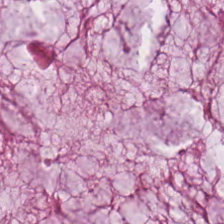Histology — extracellular mucin.
